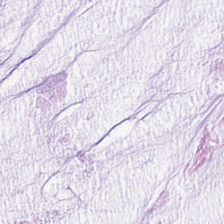Hematoxylin and eosin — Histology — mucus.
